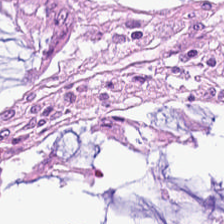H&E patch showing normal colonic mucosa.
